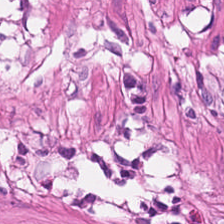This patch shows smooth-muscle tissue.
